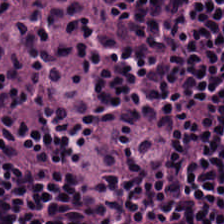Formalin-fixed paraffin-embedded section; H&E — The tissue here is lymphocyte aggregate.
